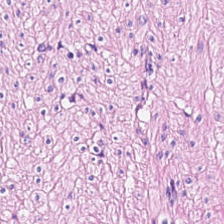H&E-stained tissue section — This field is muscularis.
